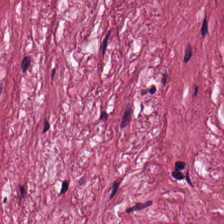H&E-stained tissue section. Whole-slide-image patch. 20× equivalent magnification. The tissue here is desmoplastic stroma.
